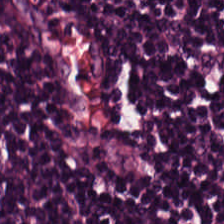224×224 px tile. Formalin-fixed paraffin-embedded section. Hematoxylin-and-eosin stained section. Predominantly lymphocytic infiltrate.
